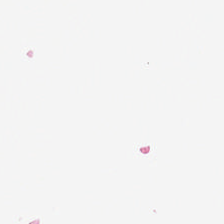0.5 µm/px; 224×224 pixel tile; H&E stain. {"content": "empty background"}
